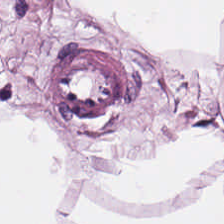Hematoxylin-and-eosin stained section. 224×224 px patch. FFPE. Tissue = fat tissue.
